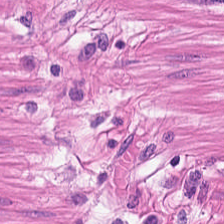Hematoxylin and eosin — Tissue class — smooth muscle.
